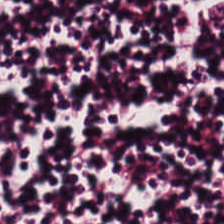H&E-stained tissue section.
The predominant tissue is lymphocyte aggregate.
